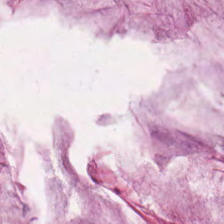Formalin-fixed paraffin-embedded section; hematoxylin and eosin.
The tissue type is mucin.
